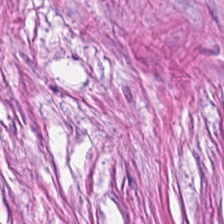H&E-stained tissue section. The classification is tumor stroma.
